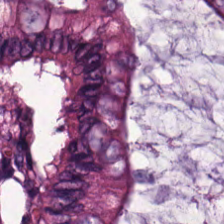H&E stain.
Classification: benign colonic mucosa.
